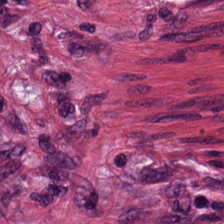Hematoxylin and eosin. Histology — desmoplastic stroma.
